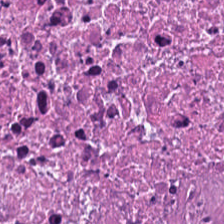H&E · 224×224 px patch.
Impression — necrotic debris.
